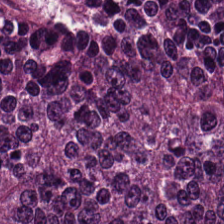Hematoxylin and eosin. FFPE tissue section — Showing adenocarcinoma.
